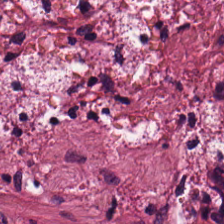WSI patch; 224×224 pixel tile; H&E-stained tissue section.
Predominant tissue: tumor stroma.
